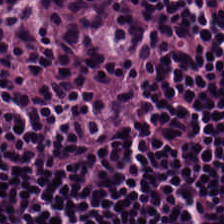FFPE. 20× equivalent magnification. Hematoxylin-and-eosin stained section — The tissue here is lymphocytic infiltrate.
